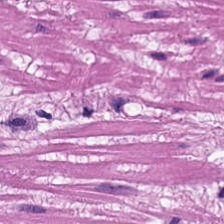H&E stain; formalin-fixed paraffin-embedded section. Predominantly smooth muscle.
